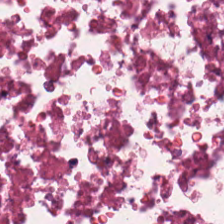0.5 µm per pixel · H&E stain. Showing debris.
